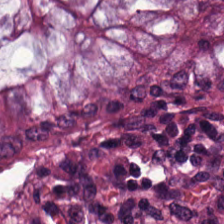Hematoxylin-and-eosin stained section. Showing normal colonic mucosa.
